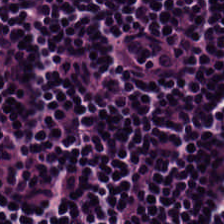Stain: hematoxylin and eosin.
Acquisition: WSI patch.
Classification: lymphocytic infiltrate.
